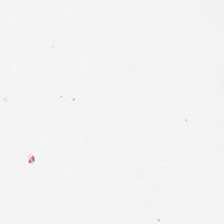0.5 µm/px. H&E-stained tissue section.
Q: What does this patch show?
A: It is background.
